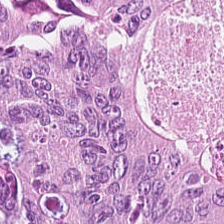Stain: H&E-stained tissue section.
Tissue class: colorectal adenocarcinoma epithelium.
